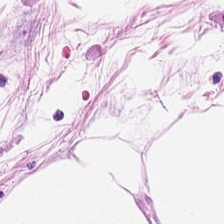H&E-stained section; the field shows adipose tissue.
